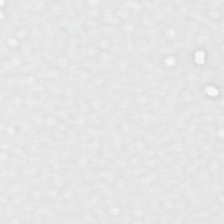Classification: empty background.
